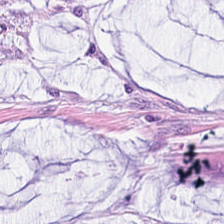Showing extracellular mucin.
